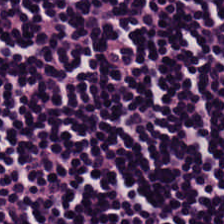H&E-stained tissue section · 0.5 microns per pixel — Q: Identify the tissue.
A: The field shows lymphocytes.
